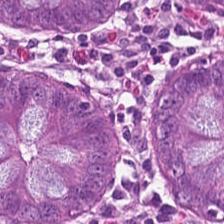WSI patch · FFPE · H&E. Q: Identify the tissue.
A: The field shows non-neoplastic colon mucosa.
